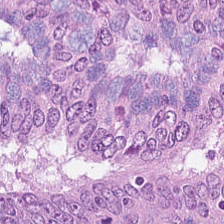Whole-slide-image patch. Hematoxylin and eosin. Finding → malignant epithelium.
